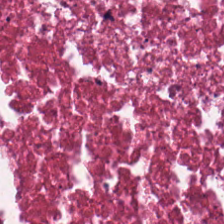Formalin-fixed paraffin-embedded section; H&E-stained tissue section; 0.5 µm/px. The predominant tissue is debris.
